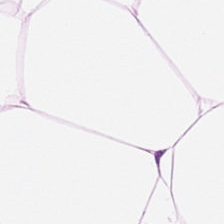Stain: hematoxylin-and-eosin stained section.
Resolution: 0.5 microns per pixel.
Preparation: formalin-fixed paraffin-embedded section.
Tissue class: adipose tissue.
